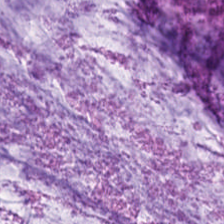H&E stain; brightfield microscopy.
The tissue here is mucin.
